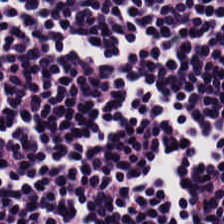{"tissue_type": "lymphoid infiltrate"}
